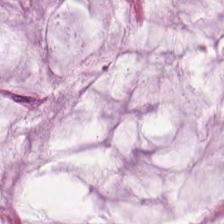H&E-stained tissue section.
The predominant tissue is extracellular mucin.
